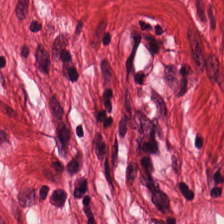H&E; brightfield; 224×224 px patch — Tissue class: smooth-muscle tissue.
